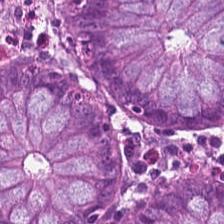FFPE · H&E stain. Predominant tissue: non-neoplastic colon mucosa.
